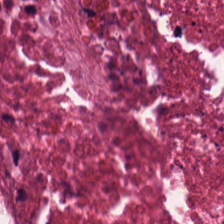The tissue here is necrotic debris.
